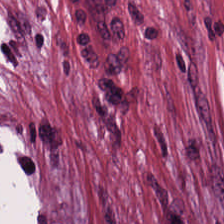H&E-stained tissue section. The tissue here is tumor stroma.
